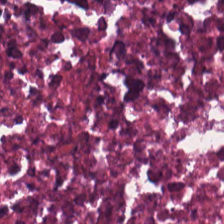Hematoxylin and eosin · 224×224 px tile — Classification = cellular debris.
